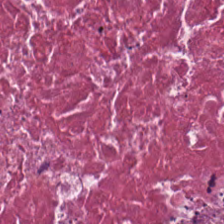H&E-stained tissue section — The tissue type is necrotic debris.
